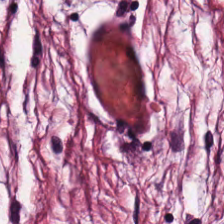H&E stain. 224×224 pixel tile. Formalin-fixed paraffin-embedded section. The tissue is tumor-associated stroma.
